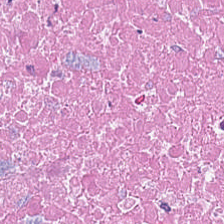0.5 µm per pixel · H&E stain — {"tissue_type": "necrotic debris"}
